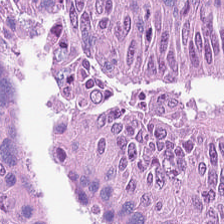The classification is malignant epithelium.
